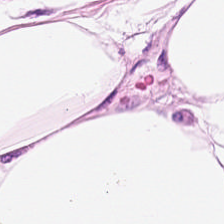H&E patch showing adipose tissue.
